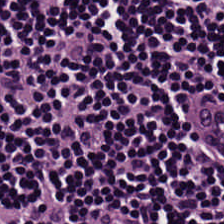Classification: lymphocyte aggregate.
